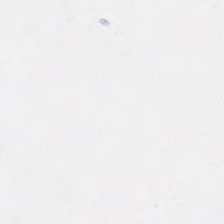0.5 microns per pixel. H&E. 224×224 px tile. {"content": "empty background"}
